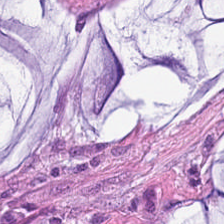0.5 microns per pixel. Brightfield. H&E stain. Finding — mucin.
